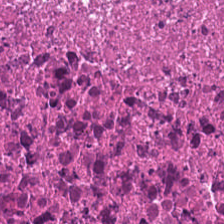The tissue is necrotic debris.
